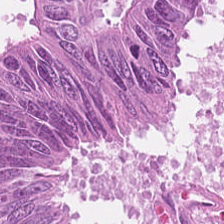Stain: H&E.
Classification: adenocarcinoma.
